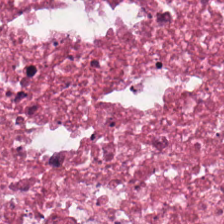WSI patch; 20× equivalent magnification; H&E-stained tissue section. This patch shows debris.
